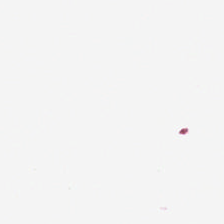Q: Classify this patch.
A: It is background.
